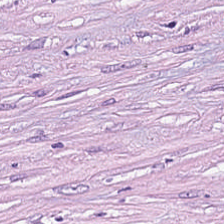WSI patch; H&E-stained tissue section.
Tissue: tumor-associated stroma.
